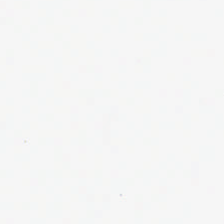Hematoxylin-and-eosin stained section.
Empty field — background (no tissue).
